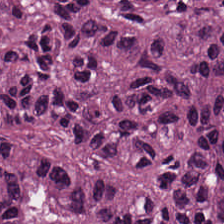Showing malignant epithelium.
